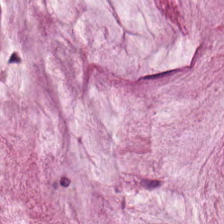Q: What tissue type is shown here?
A: Mucin.
